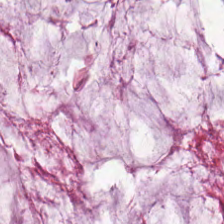H&E-stained tissue section. 224×224 px tile — Finding → mucus.
